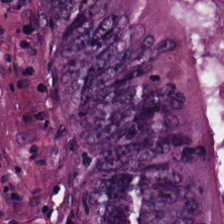FFPE tissue section; 224×224 px tile; hematoxylin and eosin.
Q: What is shown here?
A: It is adenocarcinoma.
